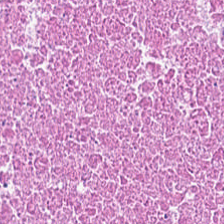Debris.
